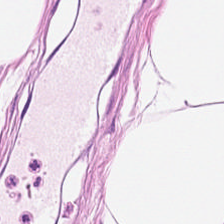FFPE tissue section. H&E. Tissue type = adipose tissue.
